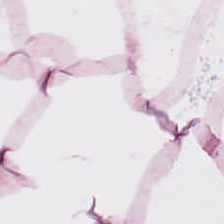H&E-stained tissue section. This patch shows fat tissue.
